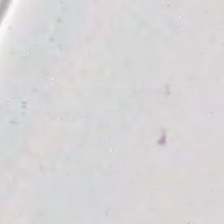No tissue.
